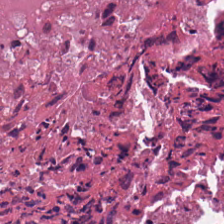Tissue class = debris.
